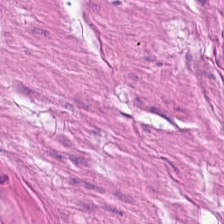0.5 microns per pixel · H&E stain. Predominantly smooth muscle.
